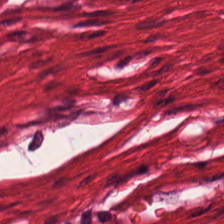Q: What tissue is shown?
A: This is smooth muscle.
